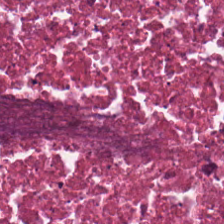H&E-stained tissue section.
{"tissue_type": "necrotic debris"}
